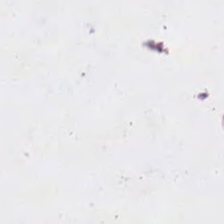This patch shows no tissue.
